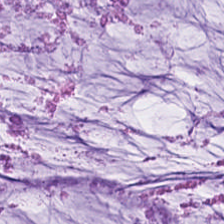Predominant tissue: mucus.
